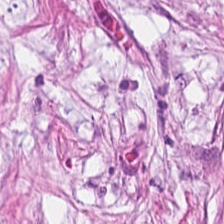0.5 µm per pixel; H&E stain. Histology → cancer-associated stroma.
